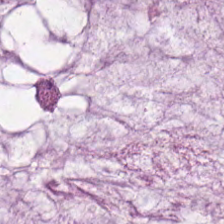The predominant tissue is mucin.
